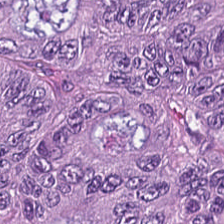FFPE. H&E-stained tissue section — Classification: malignant epithelium.
